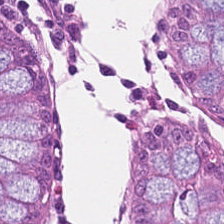H&E-stained tissue section showing benign colonic mucosa.
